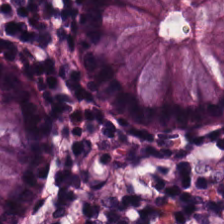H&E. Histology → benign colonic mucosa.
